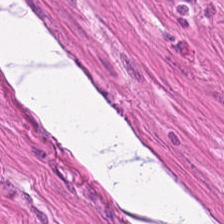Hematoxylin-and-eosin stained section. Tissue class = smooth-muscle tissue.
